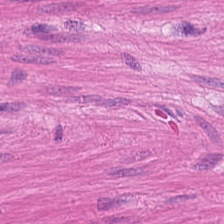H&E stain — Q: What tissue is shown?
A: The field shows smooth-muscle tissue.
